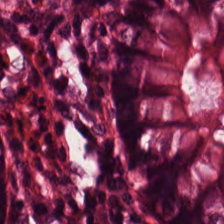Hematoxylin and eosin. {"tissue_type": "normal colonic mucosa"}
